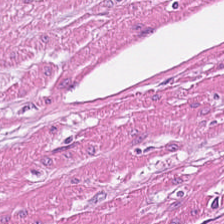Stain: H&E.
Preparation: FFPE tissue section.
Acquisition: brightfield microscopy.
Tissue type: muscularis.
